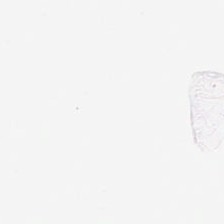H&E stain. This patch shows no tissue.
